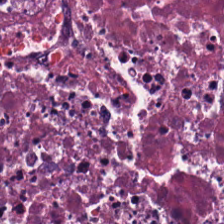H&E-stained tissue section. FFPE tissue section — Tissue type: cellular debris.
